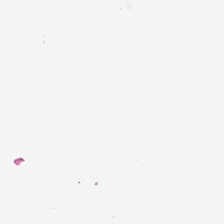H&E.
No tissue present; background only.
